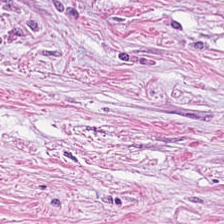224×224 px patch · hematoxylin and eosin. Desmoplastic stroma.
